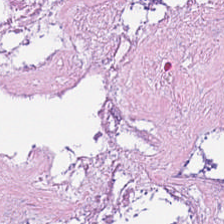Hematoxylin and eosin.
Necrotic debris.
